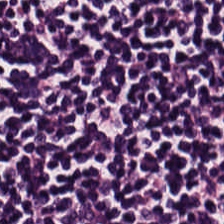Stain: hematoxylin-and-eosin stained section.
Tissue type: lymphocyte aggregate.
